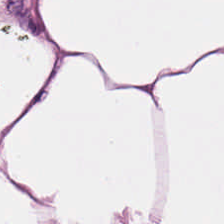Hematoxylin and eosin. {"tissue_type": "adipose tissue"}
